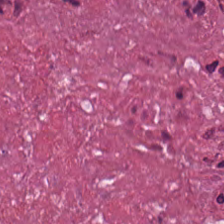Q: What is shown here?
A: The field shows debris.
